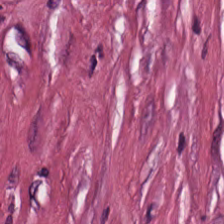Tissue type = cancer-associated stroma.
